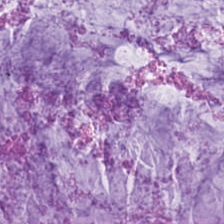Stain: H&E stain.
Tissue: mucin.
